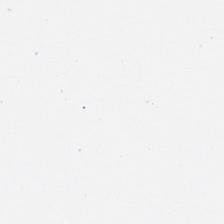Stain: H&E.
Content: background.
